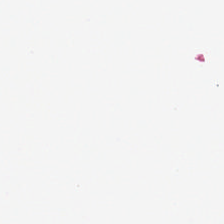Q: What is shown here?
A: Empty background.
